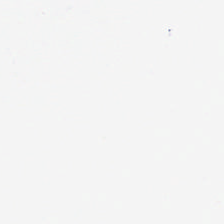Stain: hematoxylin-and-eosin stained section.
Tile size: 224×224 pixel tile.
Preparation: FFPE tissue section.
Classification: no tissue.
